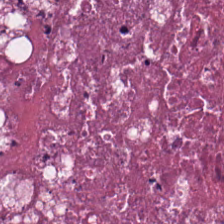Hematoxylin and eosin. Tissue type = debris.
